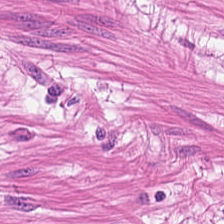H&E stain. WSI patch. 224×224 pixel tile. This field is muscularis.
